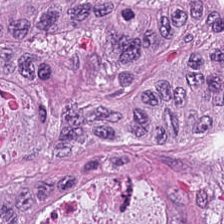H&E — The predominant tissue is colorectal adenocarcinoma epithelium.
